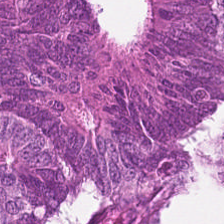Stain: H&E-stained tissue section.
Tissue class: colorectal adenocarcinoma epithelium.
